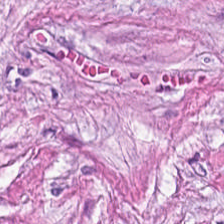224×224 pixel tile; WSI patch; H&E-stained tissue section — Finding — desmoplastic stroma.
